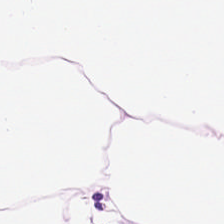H&E-stained tissue section — The tissue type is adipose.
